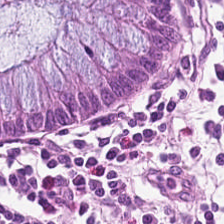The predominant tissue is normal colon mucosa.
